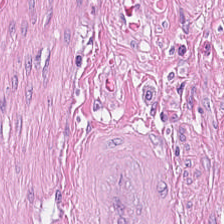Stain: hematoxylin-and-eosin stained section.
Tissue: cancer-associated stroma.
